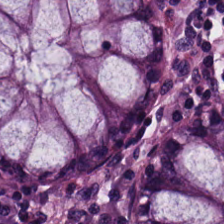20× equivalent magnification. H&E.
Q: Identify the tissue.
A: This is benign colonic mucosa.
